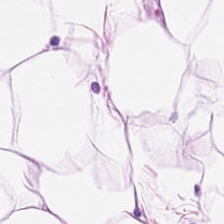Hematoxylin-and-eosin stained section; brightfield microscopy.
The classification is fat tissue.
